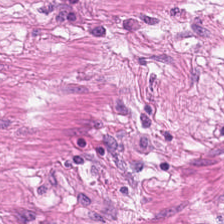Formalin-fixed paraffin-embedded section; H&E; whole-slide-image patch. The tissue class is muscularis.
